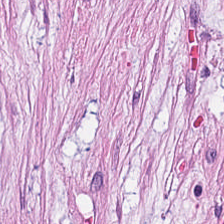H&E-stained tissue section. Histology → cancer-associated stroma.
